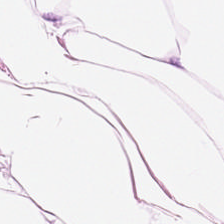Hematoxylin-and-eosin stained section. Q: What is shown in this field?
A: The field shows fat tissue.
